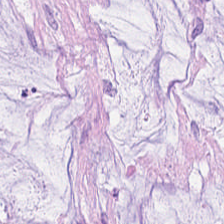Whole-slide-image patch · 0.5 microns per pixel · hematoxylin and eosin.
Q: What is shown in this field?
A: It is extracellular mucin.
